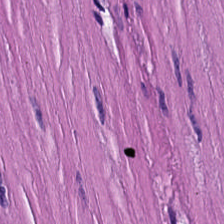H&E · brightfield microscopy — Predominantly muscularis.
